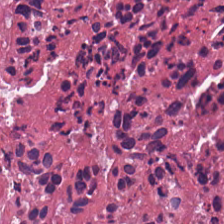Hematoxylin-and-eosin section: necrotic debris.
